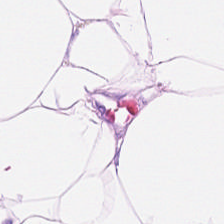H&E stain. Impression — fat tissue.
